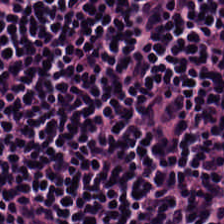Hematoxylin and eosin. 224×224 px patch.
The predominant tissue is lymphocyte aggregate.
